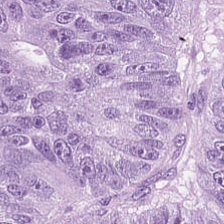H&E stain.
The predominant tissue is colorectal adenocarcinoma.
